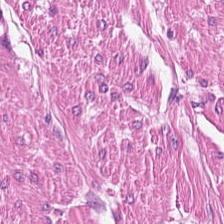Formalin-fixed paraffin-embedded section; H&E stain — Histology — smooth-muscle tissue.
